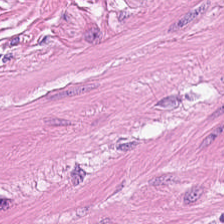Stain: H&E stain.
Tissue: smooth muscle.
